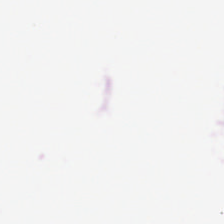Brightfield. Hematoxylin and eosin.
The content is no tissue.
